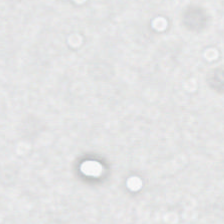Hematoxylin and eosin. Q: Classify this patch.
A: Background.
